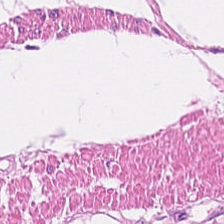Impression → smooth muscle.
